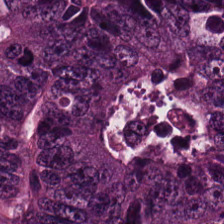Brightfield microscopy · H&E. Showing colorectal adenocarcinoma.
